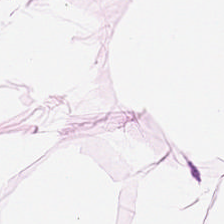Predominantly adipose.
